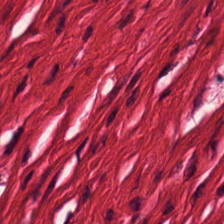Hematoxylin and eosin — Histology — muscularis.
